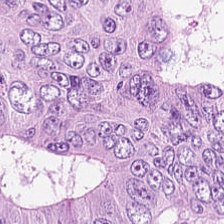H&E — Q: What is the predominant tissue type?
A: This is colorectal adenocarcinoma epithelium.
